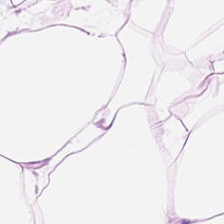Stain: H&E-stained tissue section.
Predominant tissue: fat tissue.
